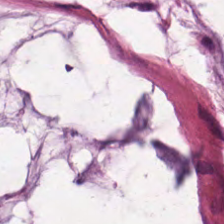This field is extracellular mucin.
